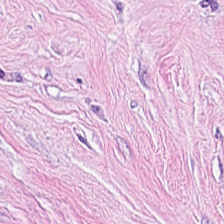Impression — cancer-associated stroma.
